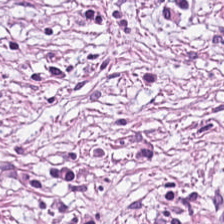Tissue type — cancer-associated stroma.
